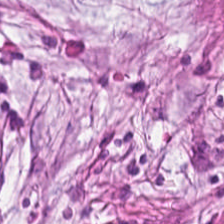0.5 µm per pixel. Hematoxylin and eosin.
Tissue = tumor-associated stroma.
